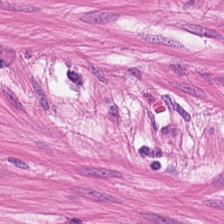H&E-stained tissue section.
The predominant tissue is smooth muscle.
